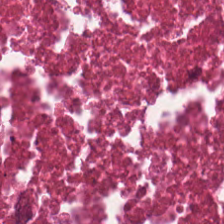Hematoxylin and eosin. The predominant tissue is necrotic debris.
